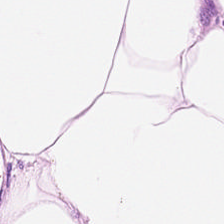This field is fat tissue.
